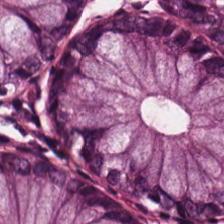H&E stain · formalin-fixed paraffin-embedded section · brightfield. Normal colonic mucosa.
